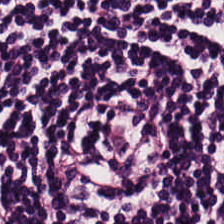Whole-slide-image patch; H&E-stained tissue section; 0.5 µm per pixel.
Predominantly lymphocytic infiltrate.
